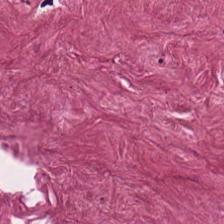Brightfield microscopy. H&E — Q: What does this patch show?
A: It is desmoplastic stroma.
